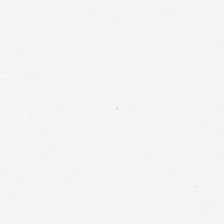Hematoxylin-and-eosin stained section. Brightfield.
The classification is background (no tissue).
